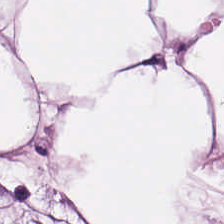Hematoxylin-and-eosin stained section. This field is adipose tissue.
